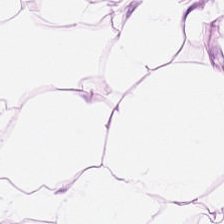Hematoxylin-and-eosin stained section. 0.5 microns per pixel. Fat tissue.
